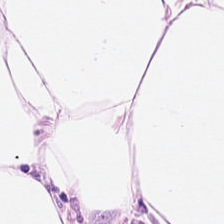The predominant tissue is adipocytes.
